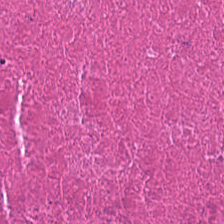Stain: hematoxylin-and-eosin stained section.
Tissue type: cellular debris.
